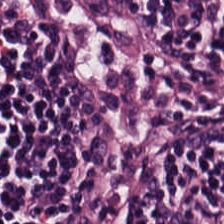H&E-stained tissue section.
{"tissue_type": "lymphocytic infiltrate"}
